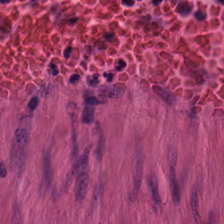FFPE tissue section; 0.5 µm per pixel; H&E stain.
Tissue class: smooth muscle.
